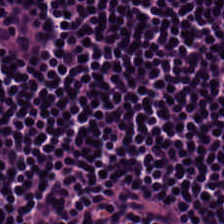H&E — Q: What tissue is shown?
A: The field shows lymphocytes.
